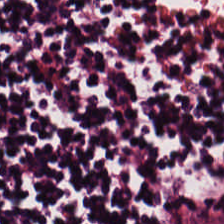Showing lymphocytes.
